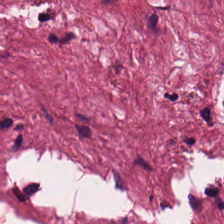Brightfield · hematoxylin and eosin.
Classification = desmoplastic stroma.
